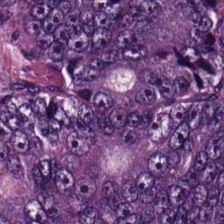Predominantly malignant epithelium.
